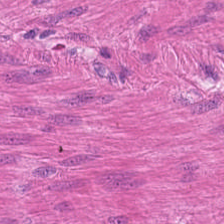Q: Classify this patch.
A: This is smooth muscle.
